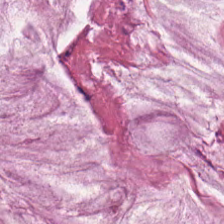Formalin-fixed paraffin-embedded section; H&E-stained tissue section.
Q: Identify the tissue.
A: It is mucin.
